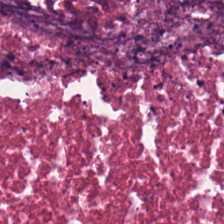224×224 pixel tile · 20× equivalent magnification · H&E — Q: What is the predominant tissue type?
A: It is cellular debris.
